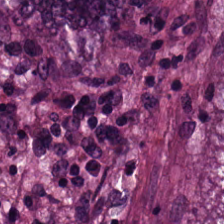Finding → malignant epithelium.
